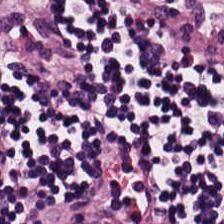H&E-stained tissue section.
The predominant tissue is lymphocyte aggregate.
